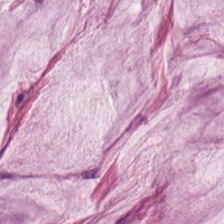Hematoxylin-and-eosin stained section.
Showing mucin.
